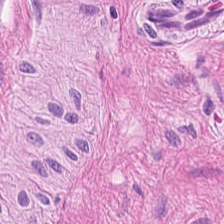H&E stain. Tissue: smooth muscle.
